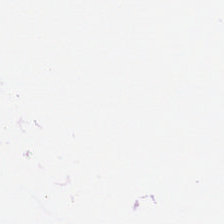No tissue present; background only.
